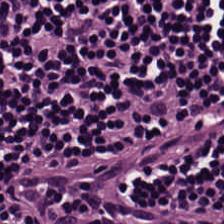Hematoxylin-and-eosin stained section · 20× equivalent magnification.
Histology — lymphocytic infiltrate.
